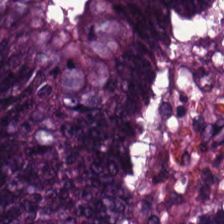Stain: H&E-stained tissue section.
Tissue: malignant epithelium.
